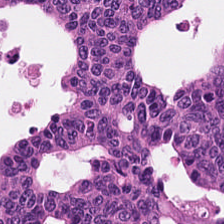Stain: H&E-stained tissue section.
Predominant tissue: malignant epithelium.
